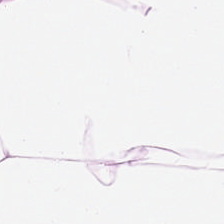Hematoxylin and eosin. The predominant tissue is adipose.
